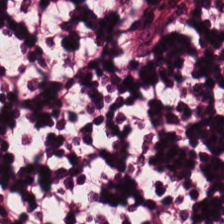H&E-stained tissue section.
Lymphocytic infiltrate.
